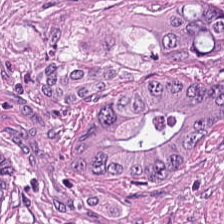Finding — colorectal adenocarcinoma epithelium.
